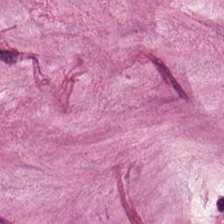H&E stain. Predominantly mucus.
